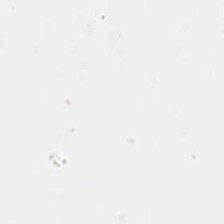H&E stain — Q: What does this patch show?
A: Empty background.
